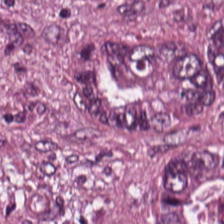H&E-stained tissue section — Q: What tissue is shown?
A: The field shows tumor epithelium.
